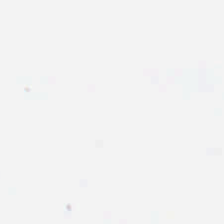Classification — no tissue.
